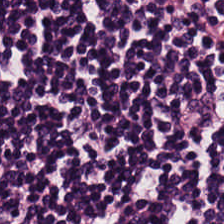Brightfield. Hematoxylin and eosin — Tissue class: lymphoid infiltrate.
